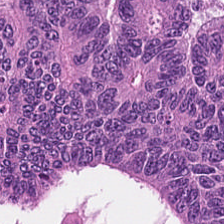Impression — adenocarcinoma.
